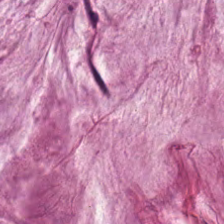Stain: H&E.
Tissue: extracellular mucin.
